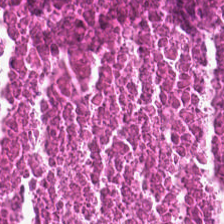Stain: H&E-stained tissue section.
Tissue class: debris.
